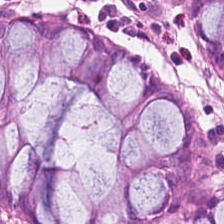H&E. The tissue here is normal colon mucosa.
